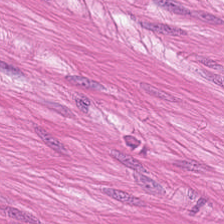Predominant tissue = muscularis.
